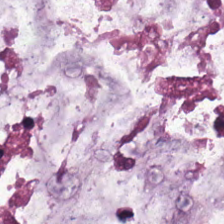Histology → mucus.
